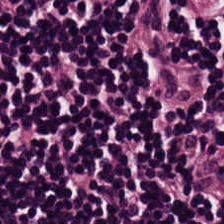Stain: H&E stain.
Tissue type: lymphocytes.
